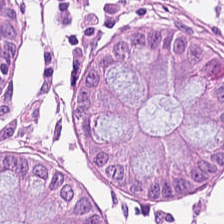The predominant tissue is benign colonic mucosa.
